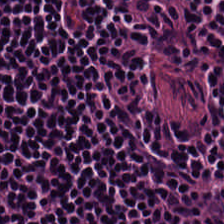Q: What type of tissue is this?
A: The field shows lymphocytes.
